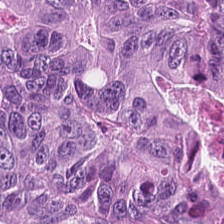H&E stain — Q: What is shown here?
A: Colorectal adenocarcinoma.
